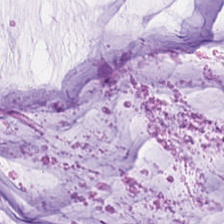H&E stain.
This patch shows mucin.
